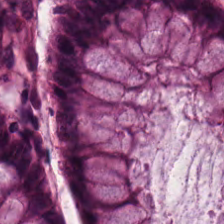H&E stain — The tissue class is normal colonic mucosa.
